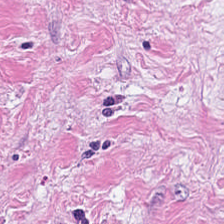Q: What is shown in this field?
A: This is cancer-associated stroma.
